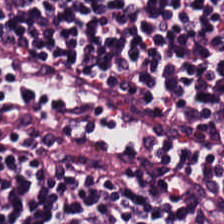H&E-stained tissue section. Tissue = lymphoid infiltrate.
